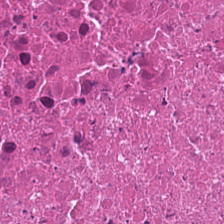Stain: H&E-stained tissue section.
Predominant tissue: cellular debris.
